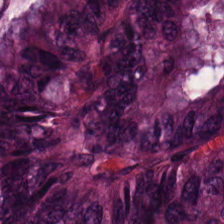Brightfield; hematoxylin and eosin; 224×224 px tile.
Q: What is shown in this field?
A: Colorectal adenocarcinoma.
